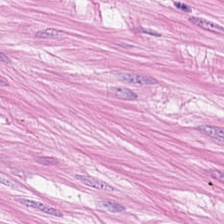Stain: H&E.
Classification: muscularis.
